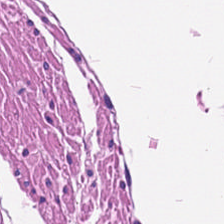Stain: hematoxylin and eosin.
Acquisition: whole-slide-image patch.
Tissue: muscularis.
